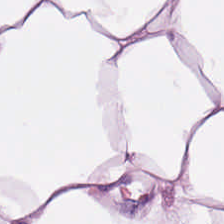H&E. Predominantly adipose tissue.
